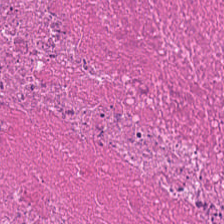FFPE; H&E stain; 224×224 pixel tile.
This field is debris.
